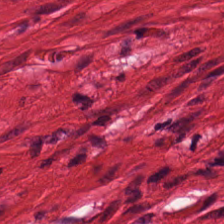Q: What is shown in this field?
A: Smooth muscle.
